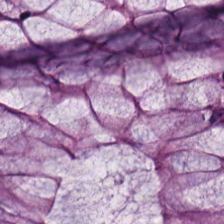0.5 microns per pixel · 224×224 px patch · H&E stain — Predominantly benign colonic mucosa.
